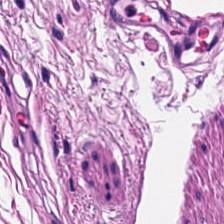WSI patch; H&E stain; 224×224 pixel tile. Predominantly smooth-muscle tissue.
